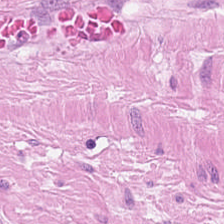H&E patch showing smooth-muscle tissue.
